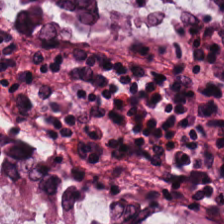224×224 px tile · brightfield microscopy · H&E — This patch shows non-neoplastic colon mucosa.
